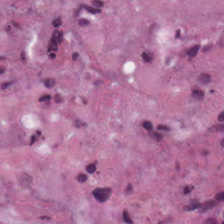H&E.
Predominantly cellular debris.
